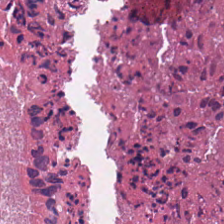H&E patch showing cellular debris.
